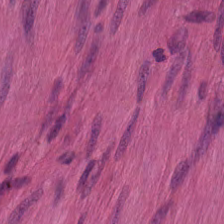FFPE · H&E stain. Showing muscularis.
